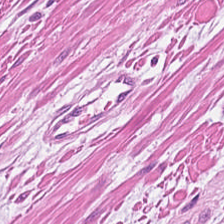{"tissue_type": "muscularis"}
